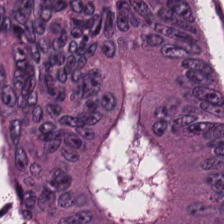H&E patch showing adenocarcinoma.
